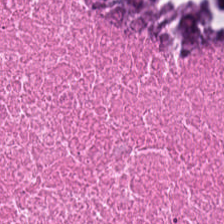H&E. 0.5 µm/px. 224×224 pixel tile. Tissue = cellular debris.
